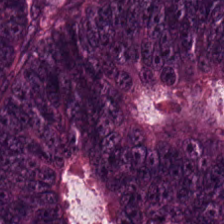H&E. This field is tumor epithelium.
